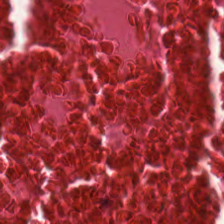Hematoxylin and eosin · FFPE · whole-slide-image patch. Showing debris.
